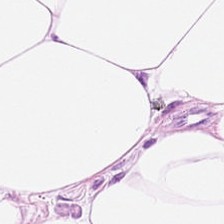Tissue type: fat tissue.
